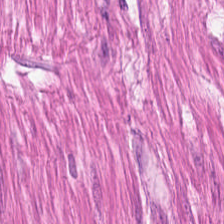H&E. Brightfield microscopy — Muscularis.
